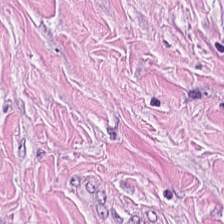The tissue here is cancer-associated stroma.
